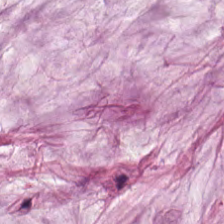Stain: H&E stain.
Classification: extracellular mucin.
